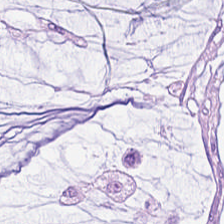Formalin-fixed paraffin-embedded section; H&E.
The tissue is mucin.
